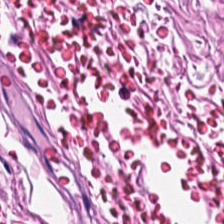Hematoxylin-and-eosin stained section. 224×224 px patch. FFPE — Showing smooth-muscle tissue.
